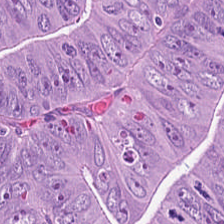Impression — colorectal adenocarcinoma epithelium.
